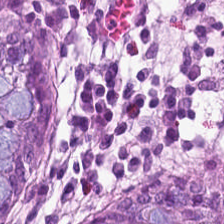H&E stain — This patch shows normal colonic mucosa.
